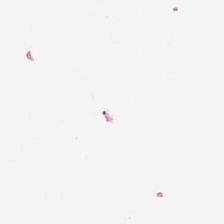H&E — This patch shows background (no tissue).
